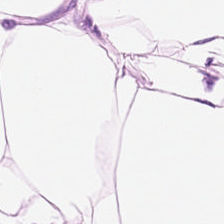Hematoxylin and eosin.
Classification = fat tissue.
